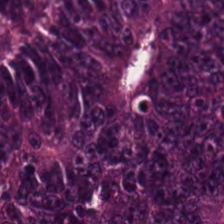Brightfield. H&E. 0.5 µm/px.
Showing malignant epithelium.
